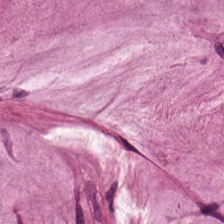Extracellular mucin.
